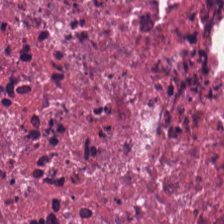Histology → cellular debris.
